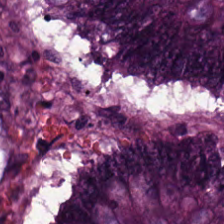H&E-stained tissue section.
Q: Identify the tissue.
A: The field shows tumor epithelium.
